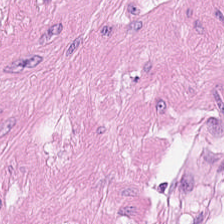H&E-stained tissue section showing muscularis.
